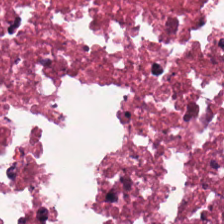20× equivalent magnification; H&E-stained tissue section. Finding — debris.
